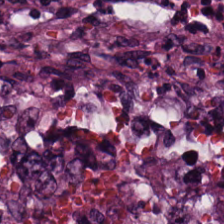Hematoxylin and eosin · 224×224 px tile.
Predominantly adenocarcinoma.
